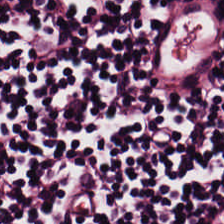Finding — lymphocyte aggregate.
